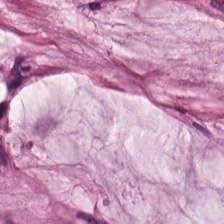Hematoxylin-and-eosin stained section. Classification = mucus.
